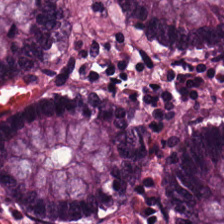WSI patch · H&E-stained tissue section · 0.5 µm per pixel — This field is benign colonic mucosa.
